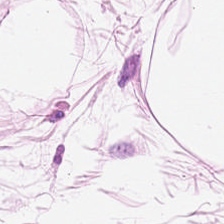H&E-stained tissue section. Adipocytes.
